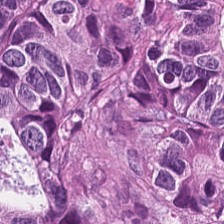20× equivalent magnification; 224×224 px patch; hematoxylin-and-eosin stained section — The tissue type is malignant epithelium.
